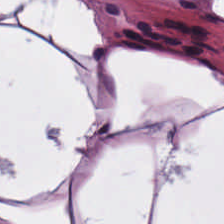This patch shows fat tissue.
